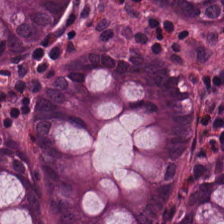H&E. The classification is normal colonic mucosa.
